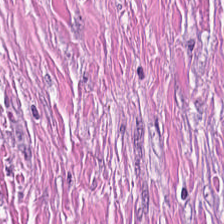0.5 µm per pixel · hematoxylin and eosin — Tissue — tumor-associated stroma.
